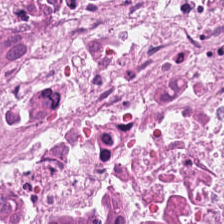Hematoxylin-and-eosin stained section; brightfield. Histology — cellular debris.
